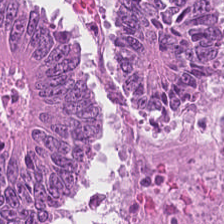This patch shows malignant epithelium.
